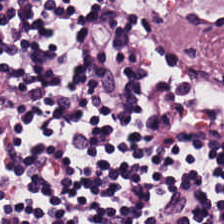Hematoxylin-and-eosin stained section. 224×224 px patch — Tissue type: lymphocytes.
